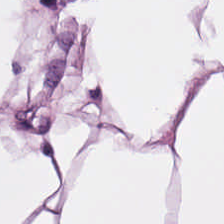H&E stain. The tissue here is adipocytes.
